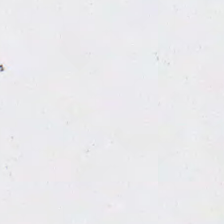Hematoxylin and eosin — Histology — empty background.
